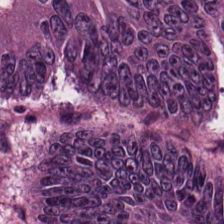Hematoxylin-and-eosin stained section · 20× equivalent magnification — Classification = colorectal adenocarcinoma epithelium.
